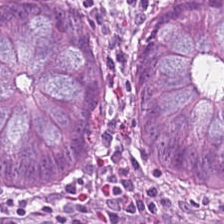Hematoxylin and eosin.
The tissue type is benign colonic mucosa.
